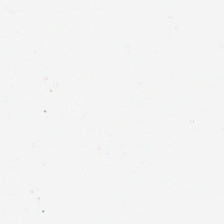FFPE; hematoxylin-and-eosin stained section. Content = no tissue.
